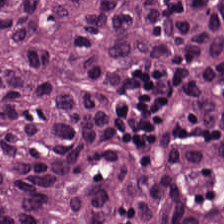H&E — Q: What tissue type is shown here?
A: It is adenocarcinoma.
